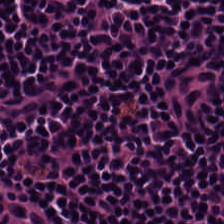224×224 pixel tile; 0.5 microns per pixel; H&E-stained tissue section.
Showing lymphocytic infiltrate.
